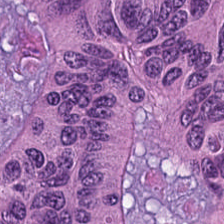H&E stain. 224×224 pixel tile. FFPE — Q: What is shown in this field?
A: This is adenocarcinoma.
